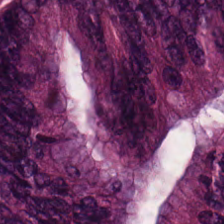224×224 px patch. H&E — Tumor epithelium.
